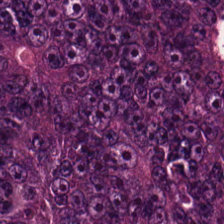Hematoxylin-and-eosin stained section. Tissue type — colorectal adenocarcinoma epithelium.
